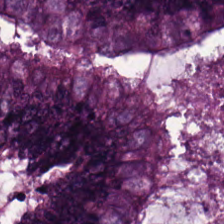H&E-stained tissue section. 0.5 microns per pixel. Brightfield microscopy. {"tissue_type": "colorectal adenocarcinoma epithelium"}
